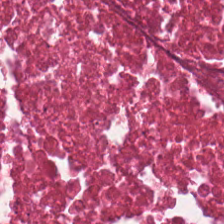{"tissue_type": "cellular debris"}
